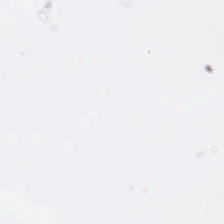FFPE tissue section; H&E-stained tissue section; 224×224 pixel tile — The classification is no tissue.
